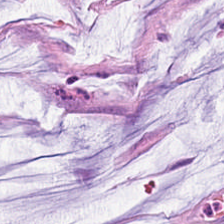224×224 px patch. H&E.
This field is mucin.
